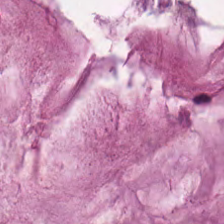Hematoxylin and eosin — Q: Classify this patch.
A: It is mucin.
